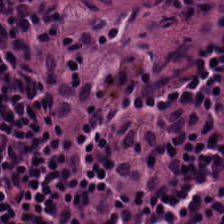Hematoxylin-and-eosin stained section — Predominantly lymphocyte aggregate.
